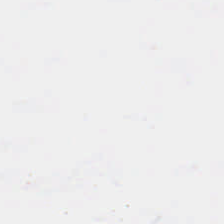H&E-stained tissue section.
{"content": "empty background"}
